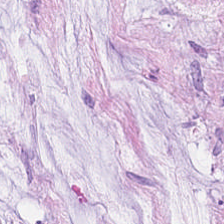Hematoxylin and eosin. WSI patch. 0.5 microns per pixel. Predominantly mucin.
